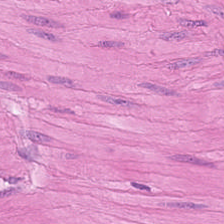Classification: smooth-muscle tissue.
